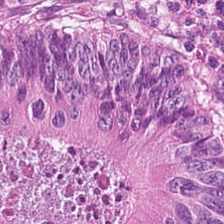Hematoxylin and eosin — Showing colorectal adenocarcinoma.
